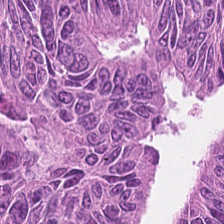Tissue class = colorectal adenocarcinoma epithelium.
